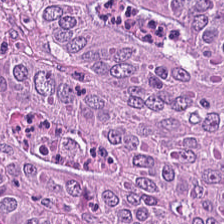Brightfield microscopy; hematoxylin and eosin.
Q: Identify the tissue.
A: The field shows colorectal adenocarcinoma epithelium.
